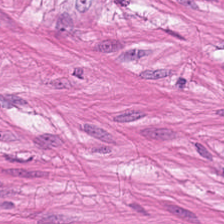224×224 px tile; H&E-stained tissue section; 0.5 microns per pixel. Q: What does this patch show?
A: It is smooth muscle.
